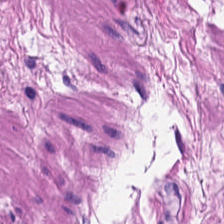H&E · FFPE.
Predominantly muscularis.
